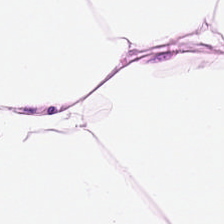H&E-stained tissue section showing adipose.
